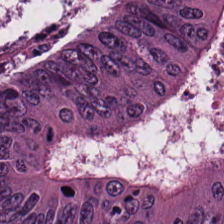224×224 px tile. H&E-stained tissue section. Brightfield — Malignant epithelium.
